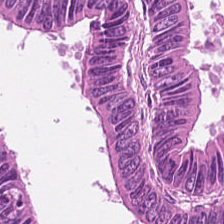Brightfield microscopy. H&E-stained tissue section. 0.5 µm/px — Showing colorectal adenocarcinoma.
